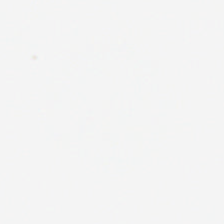H&E-stained tissue section · 20× equivalent magnification.
Q: Classify this patch.
A: Empty background.
